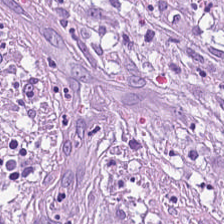Tissue type: cancer-associated stroma.
